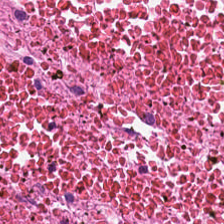0.5 µm per pixel; H&E-stained tissue section.
Q: What is shown in this field?
A: This is debris.
